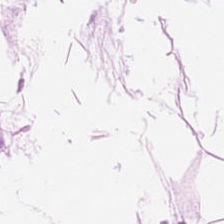H&E stain. 0.5 µm per pixel.
This field is adipose tissue.
